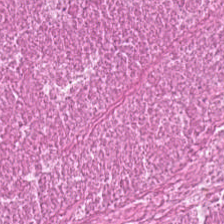H&E stain — Q: What is shown in this field?
A: The field shows necrotic debris.
